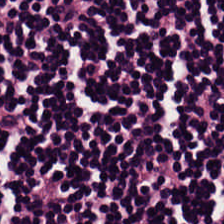Hematoxylin and eosin. Finding → lymphocytic infiltrate.
